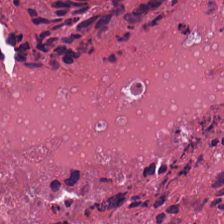FFPE. H&E-stained tissue section.
Q: What tissue is shown?
A: It is necrotic debris.
